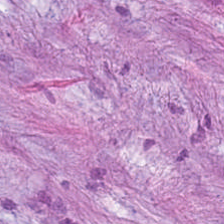WSI patch · hematoxylin-and-eosin stained section — {"tissue_type": "cancer-associated stroma"}
